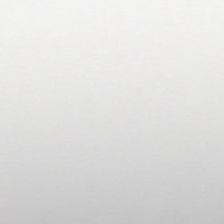Hematoxylin-and-eosin stained section.
Background — no tissue in this field.
